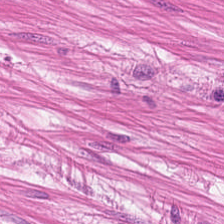Hematoxylin-and-eosin stained section; 224×224 px patch.
Tissue class = smooth muscle.
